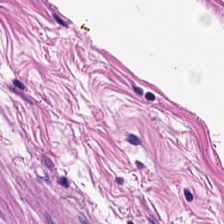Tissue class — smooth muscle.
